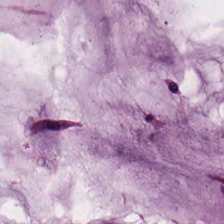0.5 µm/px · hematoxylin and eosin · brightfield microscopy — This patch shows extracellular mucin.
